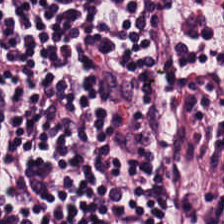H&E-stained tissue section · brightfield microscopy — Tissue type: lymphocyte aggregate.
